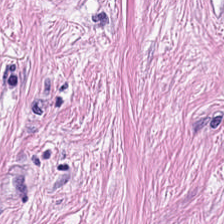Stain: hematoxylin and eosin.
Resolution: 20× equivalent magnification.
Preparation: FFPE.
Tissue type: desmoplastic stroma.
